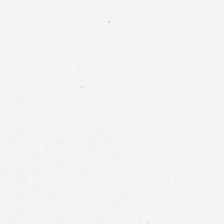Hematoxylin-and-eosin stained section — Q: What is shown in this field?
A: It is no tissue.
